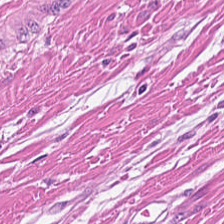H&E-stained tissue section — The tissue type is smooth muscle.
